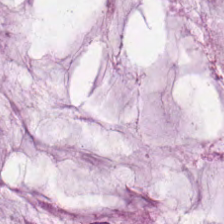Hematoxylin and eosin. FFPE tissue section. Brightfield microscopy.
Q: What is the predominant tissue type?
A: It is mucin.
